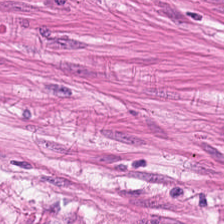224×224 px tile. H&E stain. WSI patch — Classification = muscularis.
